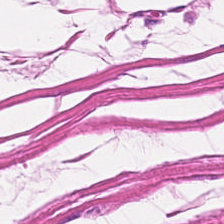H&E patch showing smooth-muscle tissue.
